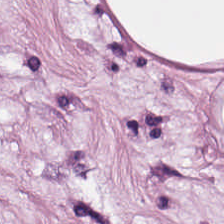Stain: hematoxylin and eosin.
Tissue class: adipose.
